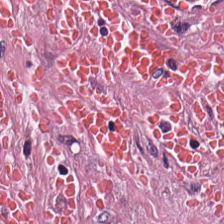Whole-slide-image patch · H&E-stained tissue section.
{"tissue_type": "cancer-associated stroma"}
